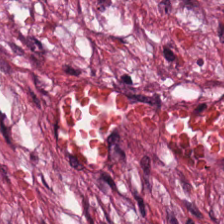Hematoxylin and eosin; 20× equivalent magnification.
Finding — tumor-associated stroma.
